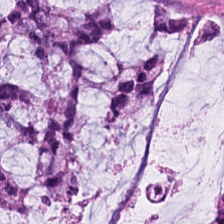Classification: mucus.
